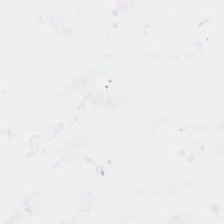Background — no tissue in this field.
